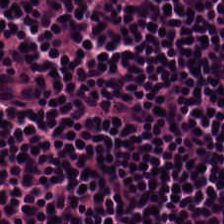0.5 µm per pixel. Hematoxylin-and-eosin stained section. Whole-slide-image patch — Impression → lymphocytes.
